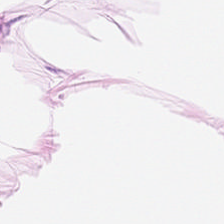Formalin-fixed paraffin-embedded section · H&E-stained tissue section. Tissue: adipose.
